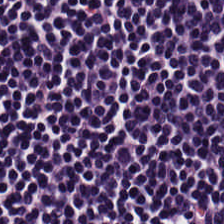H&E-stained tissue section · FFPE — This patch shows lymphocyte aggregate.
